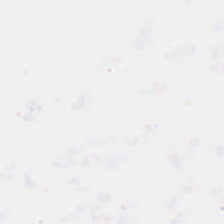Stain: hematoxylin and eosin.
Acquisition: brightfield microscopy.
Classification: background.
